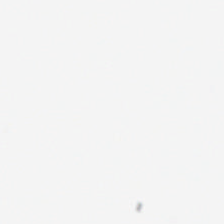{"content": "empty background"}
